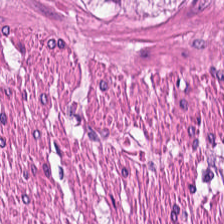H&E. Tissue type = smooth-muscle tissue.
